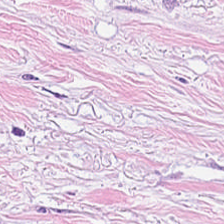Hematoxylin-and-eosin stained section; FFPE; WSI patch. Histology — tumor stroma.
